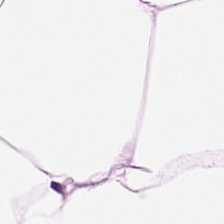Adipocytes.
